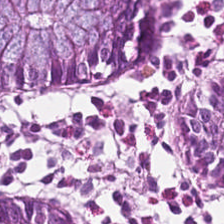H&E-stained tissue section · 0.5 µm/px. Tissue type = benign colonic mucosa.
